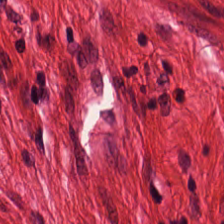FFPE tissue section · brightfield microscopy · hematoxylin-and-eosin stained section. Tissue — muscularis.
